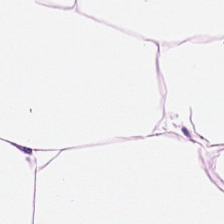0.5 µm per pixel; hematoxylin-and-eosin stained section.
Tissue type — adipose.
